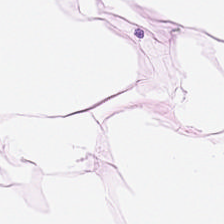The tissue is adipose.
